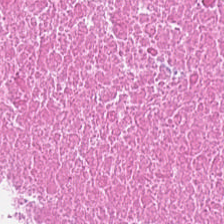Tissue class = necrotic debris.
